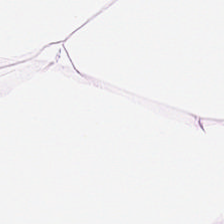FFPE; H&E; 0.5 microns per pixel — Adipocytes.
